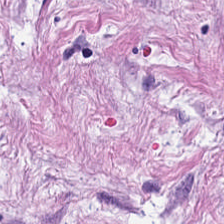The tissue here is tumor-associated stroma.
